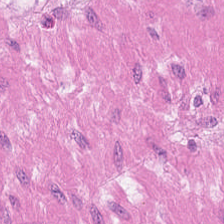Hematoxylin-and-eosin stained section; brightfield; 0.5 microns per pixel. This patch shows muscularis.
